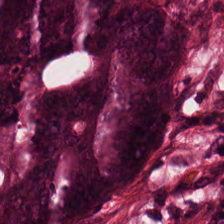Hematoxylin and eosin · 224×224 pixel tile.
The tissue class is colorectal adenocarcinoma epithelium.
